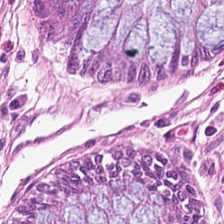Hematoxylin-and-eosin stained section. FFPE tissue section.
Predominant tissue = non-neoplastic colon mucosa.
